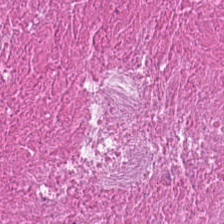Predominantly debris.
